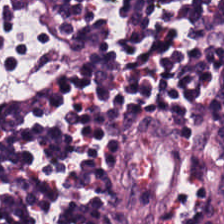H&E — lymphoid infiltrate.
